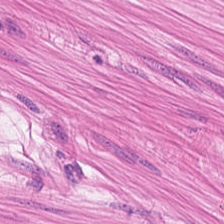Hematoxylin-and-eosin stained section; formalin-fixed paraffin-embedded section. Tissue — smooth-muscle tissue.
